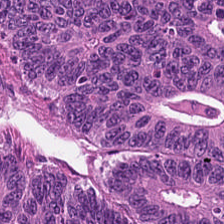Hematoxylin-and-eosin stained section. Tissue = malignant epithelium.
